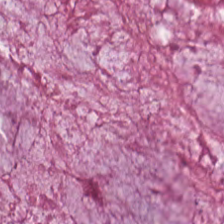Hematoxylin and eosin — Q: What is shown in this field?
A: The field shows mucin.
